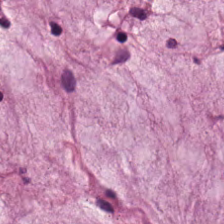Stain: hematoxylin and eosin.
Tissue class: extracellular mucin.
